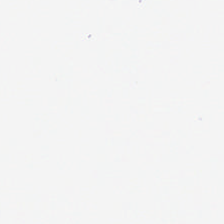224×224 pixel tile · H&E stain.
This field is background (no tissue).
